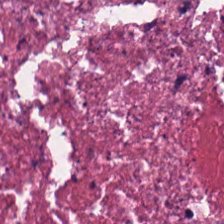Debris.
